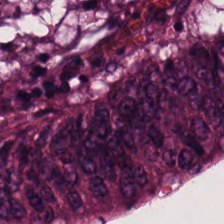Stain: H&E stain.
Tissue type: malignant epithelium.
